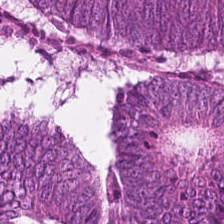Hematoxylin-and-eosin section: tumor epithelium.
